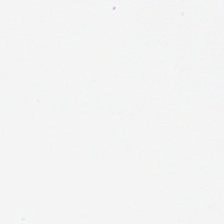{"content": "background"}
